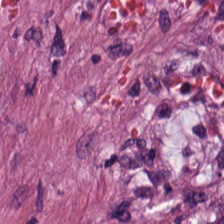0.5 µm/px. 224×224 px patch. Hematoxylin-and-eosin stained section — Tissue: tumor stroma.
